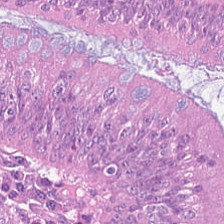H&E; brightfield microscopy. {"tissue_type": "colorectal adenocarcinoma"}
